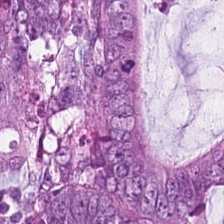Stain: hematoxylin and eosin.
Predominant tissue: tumor epithelium.
